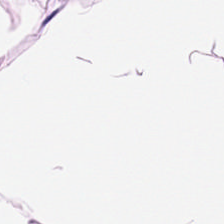Hematoxylin-and-eosin section: adipocytes.
